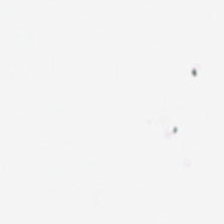Hematoxylin and eosin.
The classification is no tissue.
